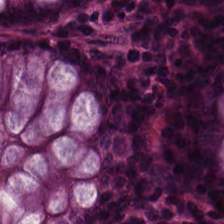H&E patch showing non-neoplastic colon mucosa.
